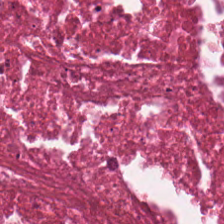H&E-stained tissue section.
This field is necrotic debris.
